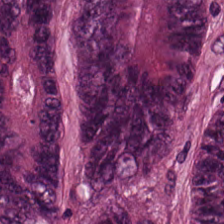H&E-stained tissue section. Q: What is shown in this field?
A: The field shows tumor epithelium.
